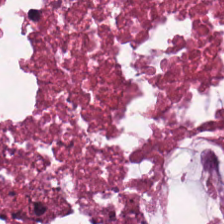Hematoxylin and eosin — Classification — necrotic debris.
